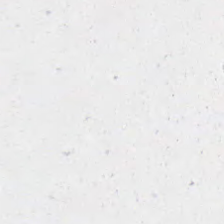Impression → empty background.
